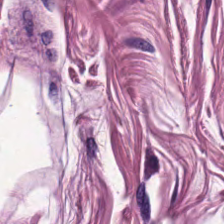Hematoxylin-and-eosin stained section — The classification is muscularis.
